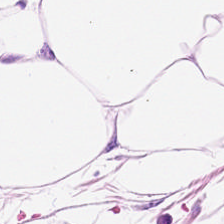H&E stain — Histology — fat tissue.
